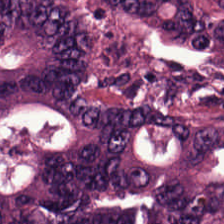H&E. Formalin-fixed paraffin-embedded section.
Q: What tissue is shown?
A: Tumor epithelium.
